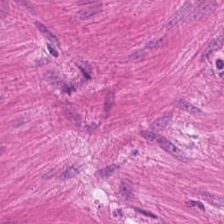H&E — {"tissue_type": "smooth muscle"}
